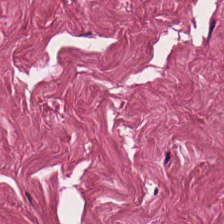Brightfield. H&E. 20× equivalent magnification — Impression → tumor-associated stroma.
